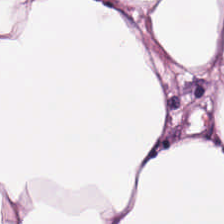Stain: hematoxylin and eosin.
Tissue type: adipocytes.
